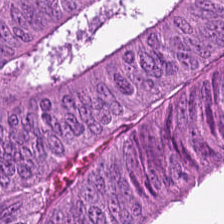This patch shows adenocarcinoma.
